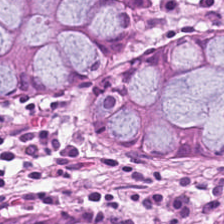Hematoxylin and eosin. Q: What is shown in this field?
A: Non-neoplastic colon mucosa.
